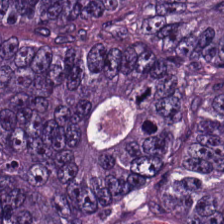Whole-slide-image patch · H&E — {"tissue_type": "malignant epithelium"}
